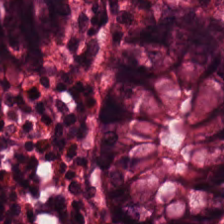Stain: hematoxylin and eosin.
Tissue: benign colonic mucosa.
